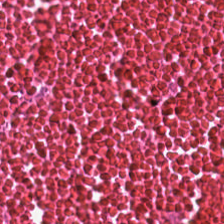H&E stain — Tissue type = necrotic debris.
